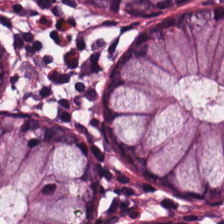Q: What tissue is shown?
A: This is non-neoplastic colon mucosa.
